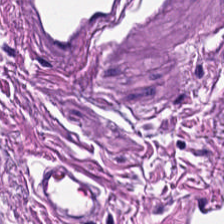224×224 pixel tile. Hematoxylin-and-eosin stained section.
{"tissue_type": "smooth-muscle tissue"}
